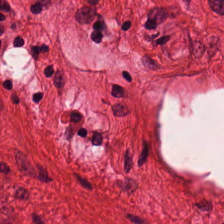H&E stain.
Histology → smooth-muscle tissue.
